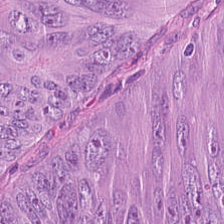Hematoxylin and eosin · whole-slide-image patch · 224×224 px patch.
Q: What is shown here?
A: The field shows adenocarcinoma.
